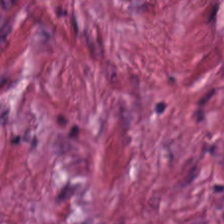Hematoxylin-and-eosin stained section. 20× equivalent magnification. Q: What tissue is shown?
A: This is tumor-associated stroma.
